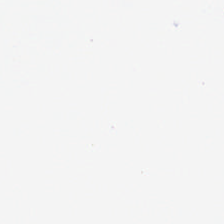Hematoxylin-and-eosin stained section.
Content: no tissue.
